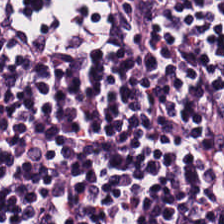H&E stain.
Lymphocytic infiltrate.
